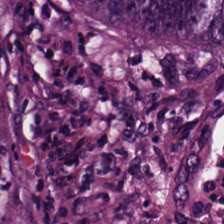Stain: hematoxylin-and-eosin stained section.
Acquisition: brightfield.
Tile size: 224×224 px patch.
Classification: tumor epithelium.
